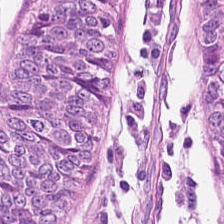H&E. Non-neoplastic colon mucosa.
